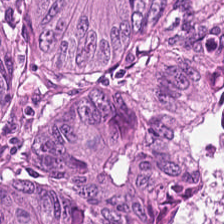Formalin-fixed paraffin-embedded section. H&E.
Predominantly tumor epithelium.
